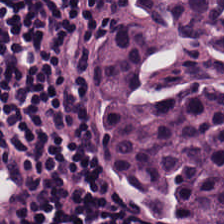224×224 px patch; brightfield; hematoxylin-and-eosin stained section. The tissue here is lymphoid infiltrate.
